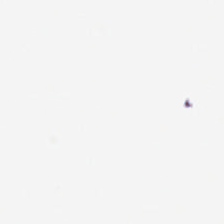Stain: H&E stain.
Field content: background (no tissue).
